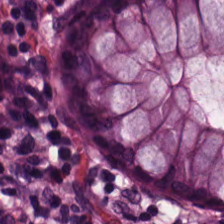{"tissue_type": "benign colonic mucosa"}
